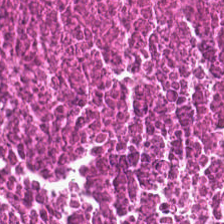H&E stain. 20× equivalent magnification. Q: What is shown here?
A: It is cellular debris.
